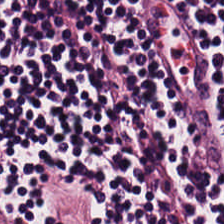FFPE tissue section. H&E. 224×224 pixel tile — The predominant tissue is lymphocytes.
